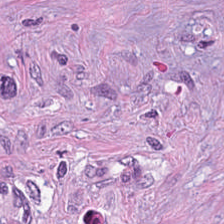224×224 pixel tile. Hematoxylin-and-eosin stained section.
Cancer-associated stroma.
